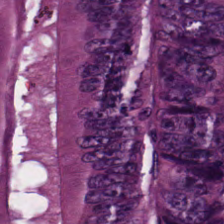H&E-stained section; the field shows colorectal adenocarcinoma.
